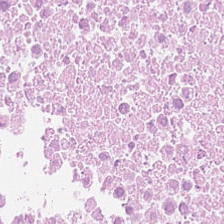H&E stain.
Classification: necrotic debris.
